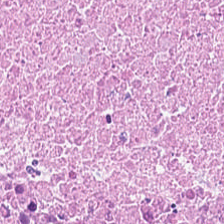Stain: H&E stain.
Resolution: 0.5 µm/px.
Tissue type: necrotic debris.
